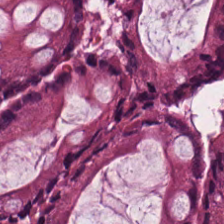The predominant tissue is non-neoplastic colon mucosa.
